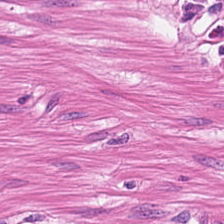Stain: H&E-stained tissue section.
Tissue class: muscularis.
